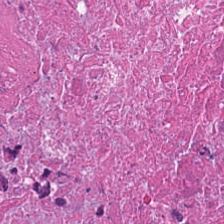Hematoxylin-and-eosin stained section. 224×224 px patch. Histology → cellular debris.
